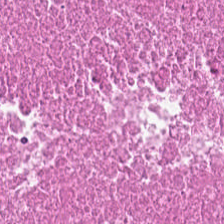H&E; 0.5 µm per pixel — Tissue class: debris.
